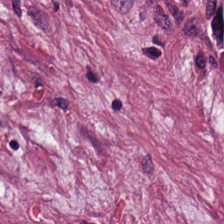FFPE · 0.5 microns per pixel · hematoxylin-and-eosin stained section.
The tissue here is tumor-associated stroma.
